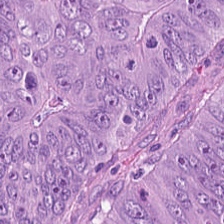H&E stain; 224×224 px patch; FFPE tissue section — {"tissue_type": "colorectal adenocarcinoma epithelium"}
